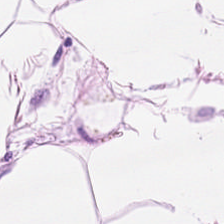Brightfield · H&E-stained tissue section. Impression — adipose.
